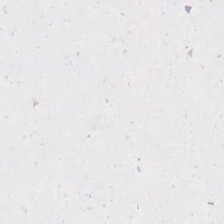Stain: hematoxylin and eosin.
Content: background.
